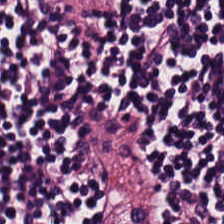H&E-stained tissue section. FFPE tissue section — Lymphoid infiltrate.
